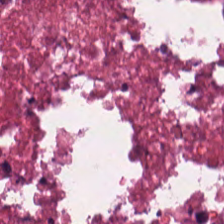H&E-stained tissue section. This patch shows necrotic debris.
